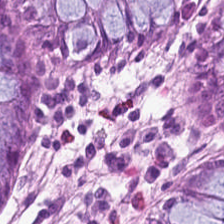H&E stain — {"tissue_type": "non-neoplastic colon mucosa"}
